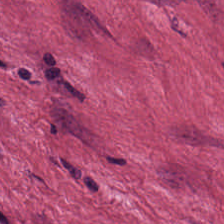224×224 px patch; hematoxylin-and-eosin stained section.
{"tissue_type": "tumor-associated stroma"}
